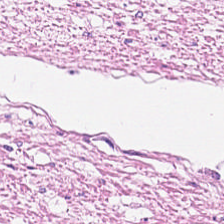H&E stain.
Predominant tissue — smooth-muscle tissue.
